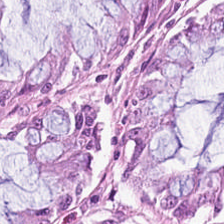H&E stain.
Benign colonic mucosa.
